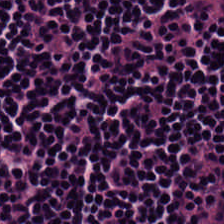Hematoxylin-and-eosin stained section. Formalin-fixed paraffin-embedded section. Showing lymphocytes.
